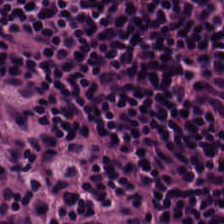Predominant tissue: lymphoid infiltrate.
